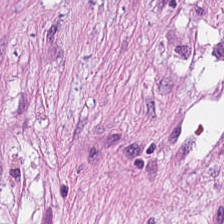20× equivalent magnification · whole-slide-image patch · H&E — This field is tumor stroma.
